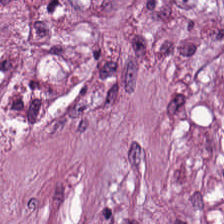Classification: cancer-associated stroma.
